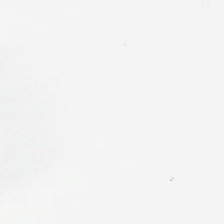FFPE · H&E stain · 20× equivalent magnification.
Histology → empty background.
